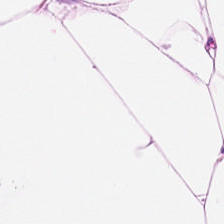Hematoxylin and eosin. 224×224 px tile.
Fat tissue.
